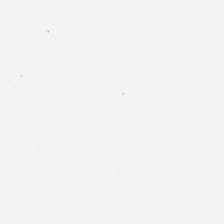Hematoxylin-and-eosin stained section.
Empty field — background.
